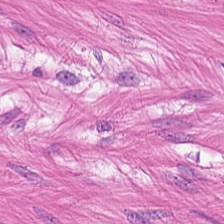Predominantly smooth-muscle tissue.
